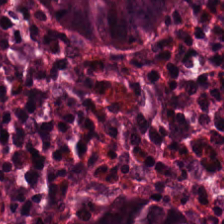H&E · whole-slide-image patch · 0.5 microns per pixel — Tissue class = benign colonic mucosa.
